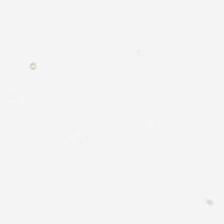Hematoxylin-and-eosin stained section — Histology — background (no tissue).
